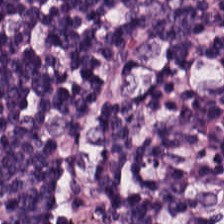Hematoxylin-and-eosin stained section.
The predominant tissue is lymphocytes.
